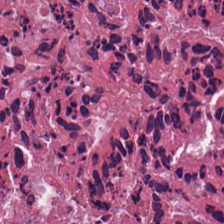Hematoxylin-and-eosin stained section. The classification is debris.
